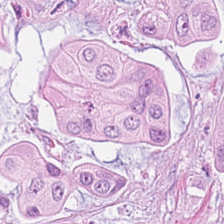H&E.
Histology → adenocarcinoma.
